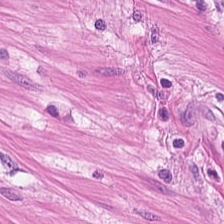Hematoxylin-and-eosin stained section. Showing smooth muscle.
